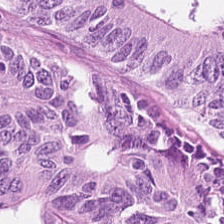FFPE · H&E stain.
Q: What is shown here?
A: Tumor epithelium.
